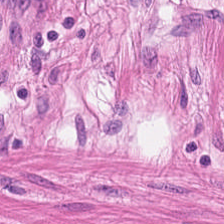20× equivalent magnification. H&E stain. Whole-slide-image patch.
This field is smooth-muscle tissue.
